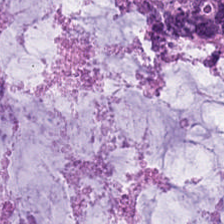Hematoxylin-and-eosin stained section. {"tissue_type": "mucin"}
